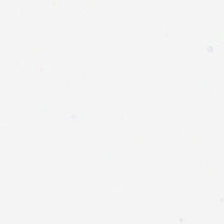Hematoxylin-and-eosin stained section.
{"content": "empty background"}
